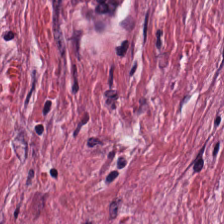H&E-stained tissue section; FFPE. Tissue: tumor-associated stroma.
